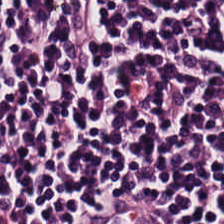0.5 microns per pixel. Hematoxylin and eosin. FFPE.
This patch shows lymphoid infiltrate.
